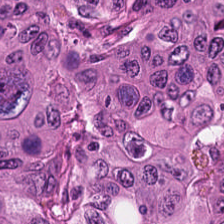Hematoxylin and eosin — Showing colorectal adenocarcinoma epithelium.
